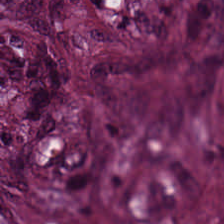H&E-stained tissue section showing desmoplastic stroma.
